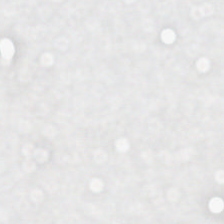Field content — background (no tissue).
